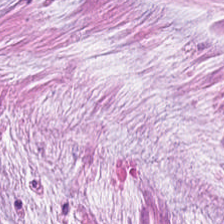{"tissue_type": "mucus"}
